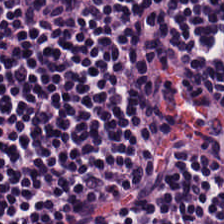H&E-stained section; the field shows lymphocytes.
